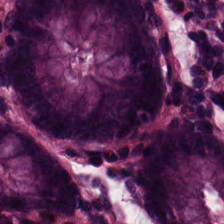H&E.
Q: What type of tissue is this?
A: This is non-neoplastic colon mucosa.
